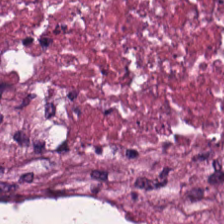0.5 microns per pixel; hematoxylin-and-eosin stained section.
Q: Classify this patch.
A: It is cellular debris.
